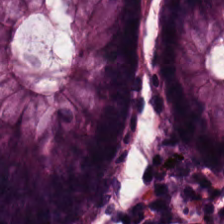H&E-stained tissue section.
Non-neoplastic colon mucosa.
